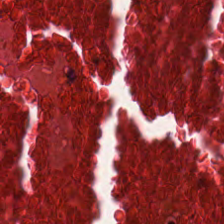Stain: H&E-stained tissue section.
Tissue class: debris.
